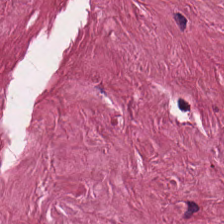H&E-stained tissue section · whole-slide-image patch · formalin-fixed paraffin-embedded section. The predominant tissue is tumor-associated stroma.
